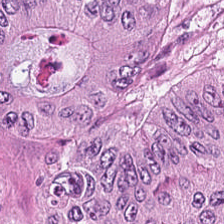Hematoxylin-and-eosin stained section — {"tissue_type": "malignant epithelium"}
